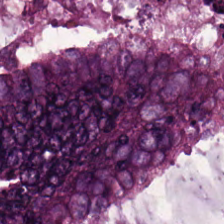20× equivalent magnification. Hematoxylin-and-eosin stained section. Tissue class = colorectal adenocarcinoma epithelium.
